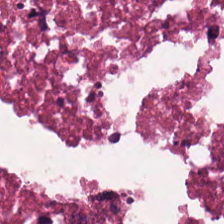Hematoxylin and eosin — The tissue here is necrotic debris.
